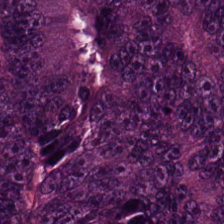Hematoxylin and eosin; 224×224 pixel tile; WSI patch. This patch shows malignant epithelium.
